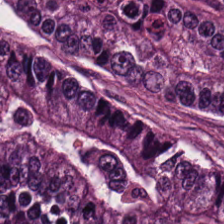0.5 µm/px; brightfield microscopy; H&E stain — Showing adenocarcinoma.
